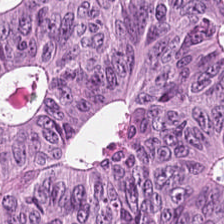H&E. Impression — malignant epithelium.
